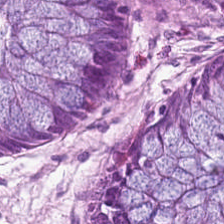H&E stain — Finding → benign colonic mucosa.
